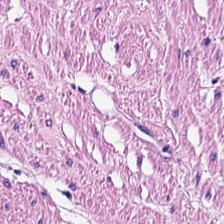H&E.
Tissue type: smooth-muscle tissue.
